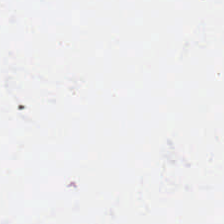This patch shows background.
